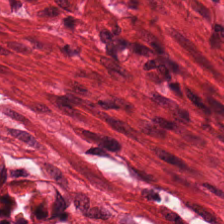The predominant tissue is muscularis.
